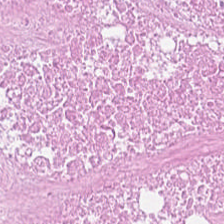Hematoxylin-and-eosin stained section. FFPE.
{"tissue_type": "cellular debris"}
